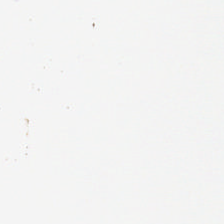Hematoxylin-and-eosin stained section — No tissue present; background only.
